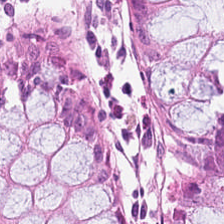H&E.
This patch shows non-neoplastic colon mucosa.
